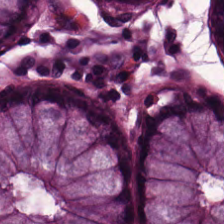Whole-slide-image patch; H&E stain. Q: What type of tissue is this?
A: It is benign colonic mucosa.
